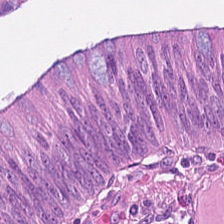H&E stain. Predominantly tumor epithelium.
